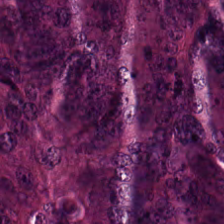H&E; formalin-fixed paraffin-embedded section; whole-slide-image patch — Tissue type — colorectal adenocarcinoma epithelium.
